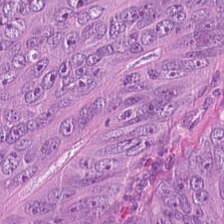224×224 px patch · formalin-fixed paraffin-embedded section · H&E stain — Tissue = tumor epithelium.
